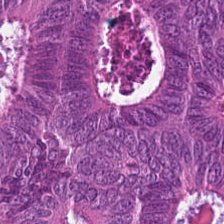FFPE. Hematoxylin-and-eosin stained section. Classification: adenocarcinoma.
